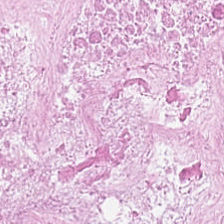Hematoxylin-and-eosin stained section; 224×224 pixel tile; brightfield microscopy — Necrotic debris.
